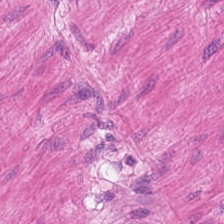H&E.
Q: What is the predominant tissue type?
A: Muscularis.
